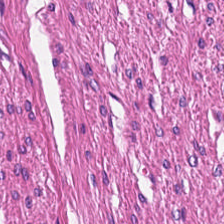Predominantly smooth-muscle tissue.
